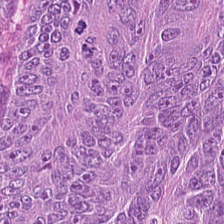Hematoxylin and eosin. This field is adenocarcinoma.
